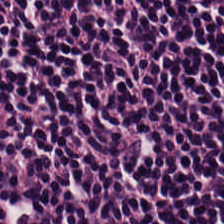H&E — lymphocyte aggregate.
